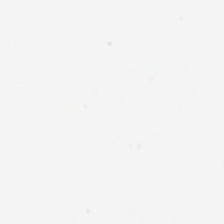H&E-stained tissue section. This field is background (no tissue).
